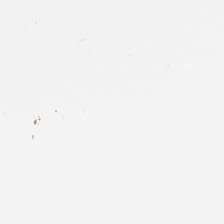FFPE. H&E.
Finding — background.
